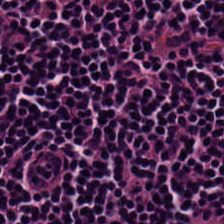Hematoxylin-and-eosin stained section. Classification: lymphocytes.
